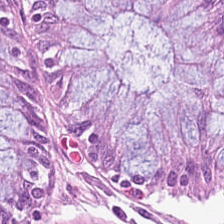Q: What is shown here?
A: Non-neoplastic colon mucosa.
